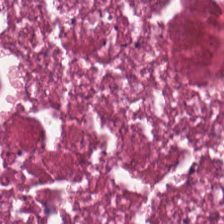H&E · brightfield microscopy.
Tissue = cellular debris.
